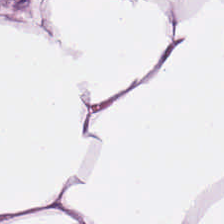Predominant tissue — adipose tissue.
